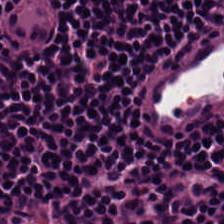The predominant tissue is lymphocytes.
